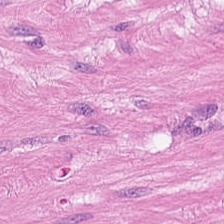H&E. Q: What is shown in this field?
A: This is smooth muscle.
